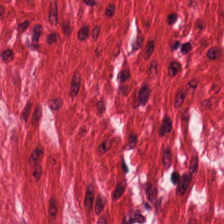H&E; 224×224 px tile.
Predominantly smooth muscle.
